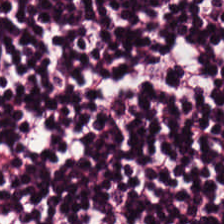H&E; formalin-fixed paraffin-embedded section; 0.5 µm per pixel.
This field is lymphoid infiltrate.
